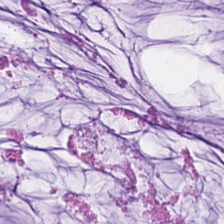H&E.
Finding — mucin.
